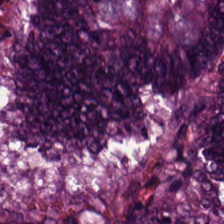Hematoxylin-and-eosin stained section; brightfield; 20× equivalent magnification. Q: What does this patch show?
A: It is colorectal adenocarcinoma epithelium.
